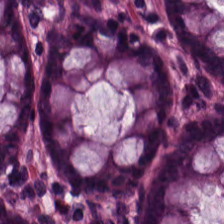FFPE; H&E stain. The predominant tissue is benign colonic mucosa.
